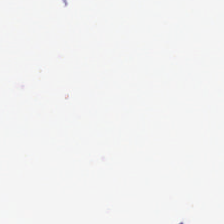This patch shows empty background.
